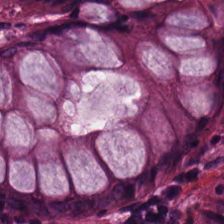H&E patch showing non-neoplastic colon mucosa.
